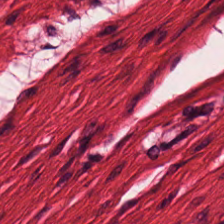This field is smooth muscle.
